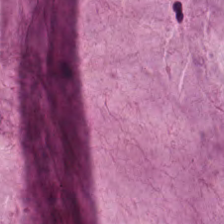Finding → mucus.
